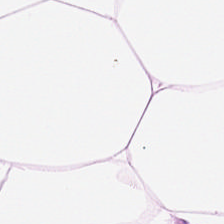H&E-stained tissue section — The predominant tissue is adipocytes.
